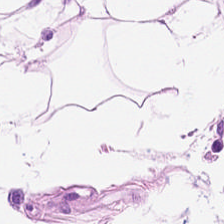H&E stain; FFPE; 20× equivalent magnification.
Impression — adipocytes.
